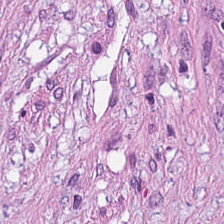The tissue here is desmoplastic stroma.
